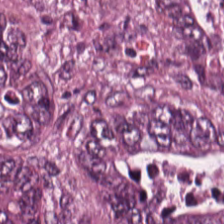H&E-stained tissue section.
The predominant tissue is colorectal adenocarcinoma epithelium.
